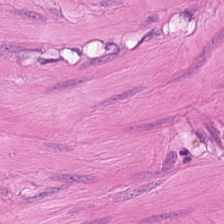Hematoxylin and eosin — Predominant tissue = smooth-muscle tissue.
